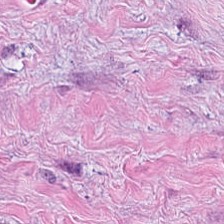Stain: hematoxylin and eosin.
Resolution: 0.5 microns per pixel.
Classification: tumor stroma.
